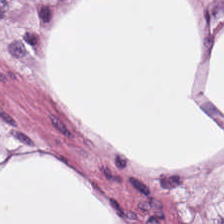Stain: H&E.
Tissue: adipose.
